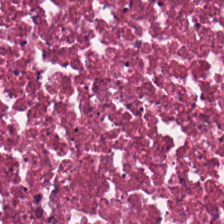Hematoxylin and eosin.
{"tissue_type": "necrotic debris"}
